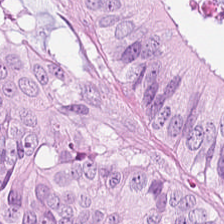Histology → tumor epithelium.
